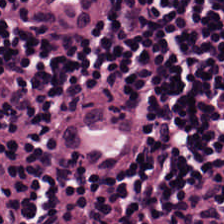0.5 µm per pixel. Hematoxylin and eosin.
Tissue type = lymphocytic infiltrate.
